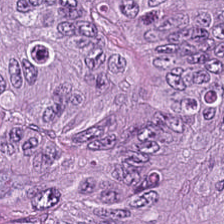Q: What tissue type is shown here?
A: It is colorectal adenocarcinoma epithelium.
